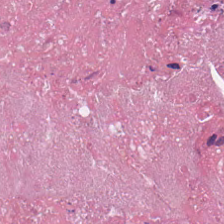Hematoxylin and eosin; 224×224 px patch. Tissue type = cellular debris.
